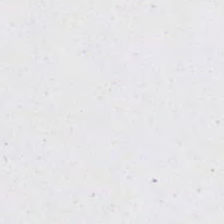Classification — empty background.
